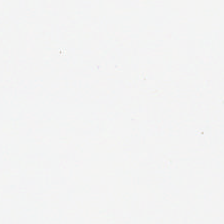H&E stain — Impression — no tissue.
